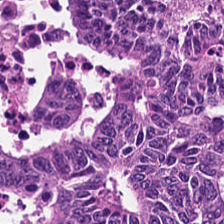0.5 microns per pixel · hematoxylin and eosin — The tissue here is malignant epithelium.
